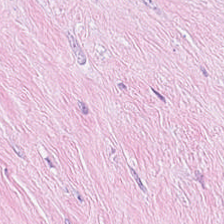0.5 µm/px · H&E-stained tissue section · brightfield microscopy.
Q: What does this patch show?
A: Tumor-associated stroma.
